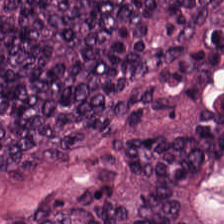Stain: H&E stain.
Classification: colorectal adenocarcinoma epithelium.
